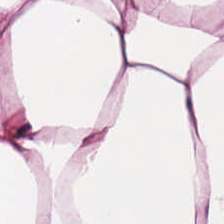The tissue type is adipose.
